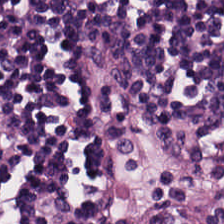Stain: hematoxylin-and-eosin stained section.
Predominant tissue: lymphocyte aggregate.
